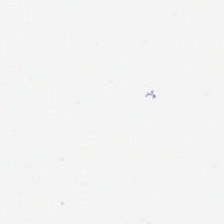224×224 pixel tile; H&E; WSI patch — Empty field — background (no tissue).
